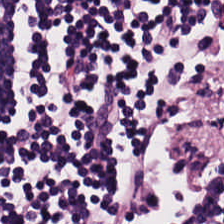Histology → lymphoid infiltrate.
